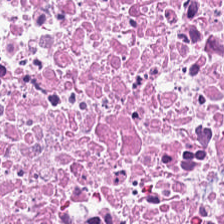Stain: H&E-stained tissue section.
Tissue type: debris.
